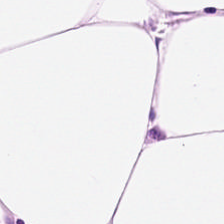H&E stain. Q: What tissue type is shown here?
A: It is adipose.
